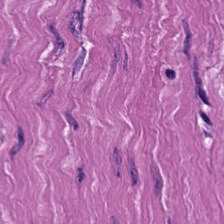Q: What is the predominant tissue type?
A: This is muscularis.
